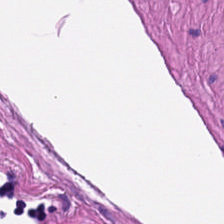H&E.
This patch shows muscularis.
